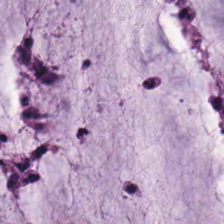Hematoxylin-and-eosin stained section · whole-slide-image patch.
Tissue type — extracellular mucin.
